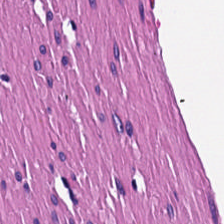H&E stain — Tissue: smooth muscle.
